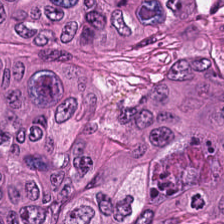Impression — colorectal adenocarcinoma epithelium.
